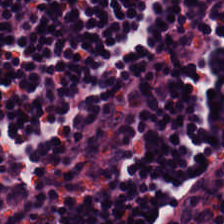H&E.
This patch shows lymphoid infiltrate.
